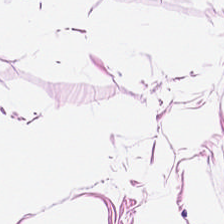Hematoxylin and eosin; brightfield microscopy; 224×224 px patch.
Impression — adipocytes.
